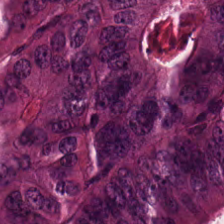Hematoxylin and eosin. The tissue class is colorectal adenocarcinoma epithelium.
